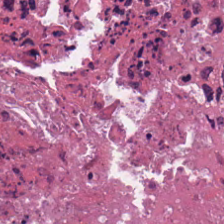Finding — debris.
